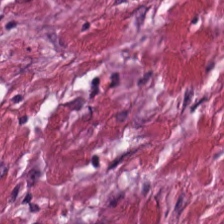Stain: hematoxylin-and-eosin stained section.
Tissue class: desmoplastic stroma.
